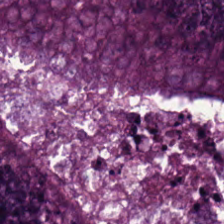Q: What is the predominant tissue type?
A: Colorectal adenocarcinoma epithelium.
